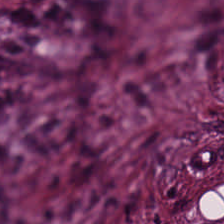FFPE tissue section; hematoxylin and eosin. Predominant tissue — desmoplastic stroma.
